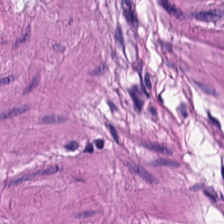H&E stain. Predominant tissue = muscularis.
